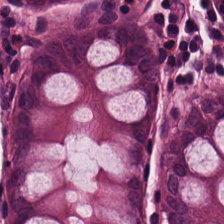H&E. Tissue: normal colon mucosa.
